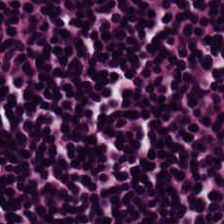Hematoxylin and eosin; 224×224 px patch.
Predominantly lymphoid infiltrate.
